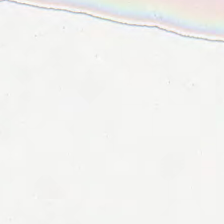H&E — No tissue present; background only.
